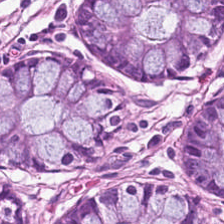Stain: H&E.
Resolution: 0.5 µm per pixel.
Tile size: 224×224 pixel tile.
Tissue type: non-neoplastic colon mucosa.
